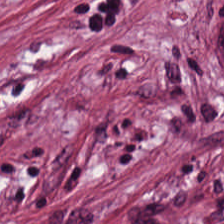FFPE; 224×224 px patch; hematoxylin-and-eosin stained section. The tissue here is tumor stroma.
